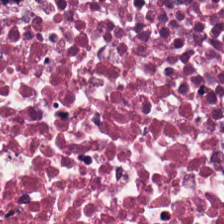H&E stain. This field is debris.
